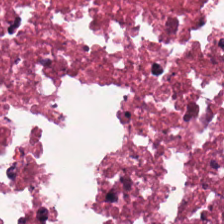20× equivalent magnification; H&E; 224×224 px tile — Predominant tissue: debris.
